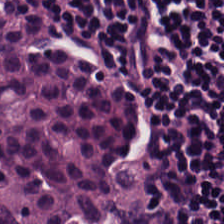H&E stain — Q: What is the predominant tissue type?
A: The field shows lymphocytic infiltrate.
